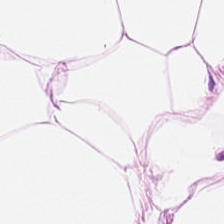H&E stain.
Tissue = fat tissue.
